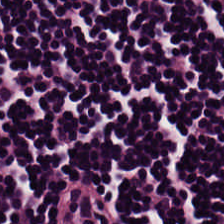0.5 µm per pixel · formalin-fixed paraffin-embedded section · H&E — The tissue here is lymphoid infiltrate.
